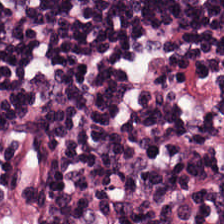Q: What does this patch show?
A: It is lymphocytes.
